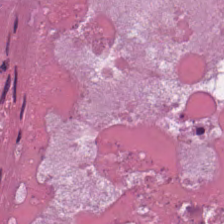H&E stain.
This patch shows necrotic debris.
